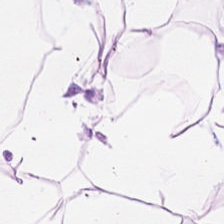This field is adipose.
